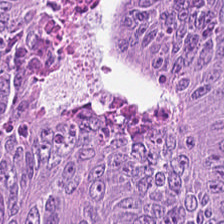H&E.
Histology → colorectal adenocarcinoma epithelium.
